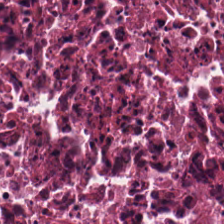Hematoxylin-and-eosin stained section. Brightfield. 0.5 µm/px. The tissue is necrotic debris.
